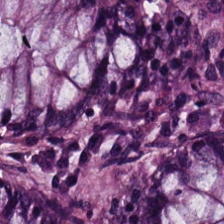H&E stain; 224×224 px patch.
Predominantly normal colon mucosa.
